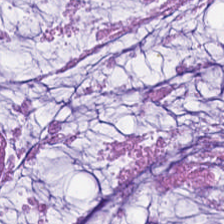Brightfield; H&E stain — Mucin.
